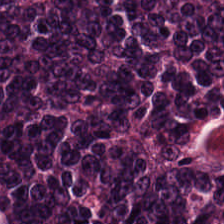Formalin-fixed paraffin-embedded section; H&E-stained tissue section. The tissue class is adenocarcinoma.
